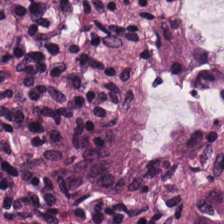Hematoxylin and eosin — The tissue here is normal colonic mucosa.
